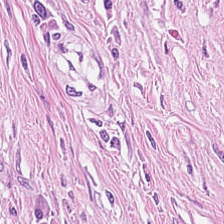H&E-stained tissue section.
The tissue here is cancer-associated stroma.
